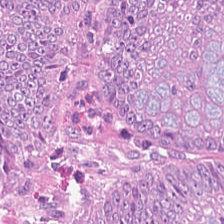H&E.
Tissue type = colorectal adenocarcinoma epithelium.
